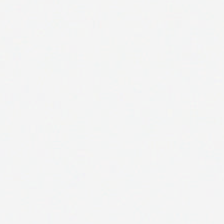Q: What does this patch show?
A: It is no tissue.
